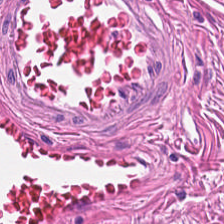Predominant tissue = smooth-muscle tissue.
